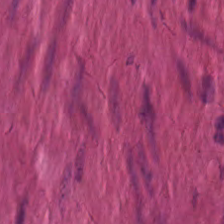Stain: H&E.
Resolution: 0.5 microns per pixel.
Tissue: smooth-muscle tissue.
